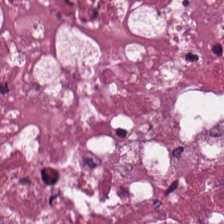Stain: H&E stain.
Classification: necrotic debris.
